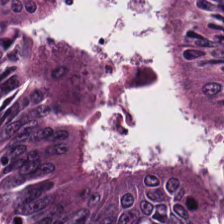Histology — adenocarcinoma.
